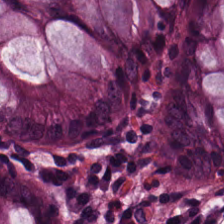H&E-stained tissue section.
The classification is normal colonic mucosa.
